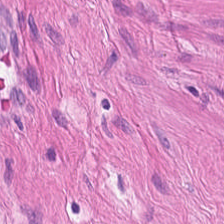Finding → muscularis.
